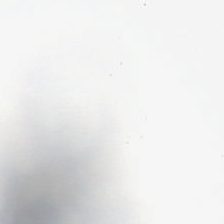H&E — Background (no tissue).
